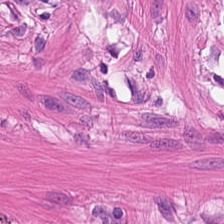H&E stain.
Tissue type — smooth-muscle tissue.
